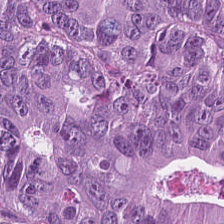H&E-stained tissue section — This field is adenocarcinoma.
